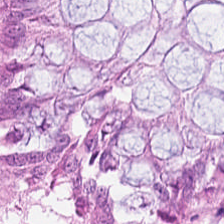Stain: H&E-stained tissue section.
Predominant tissue: normal colon mucosa.
